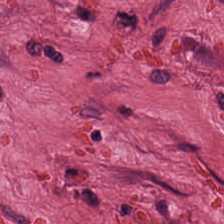H&E stain.
Q: What does this patch show?
A: This is cancer-associated stroma.
